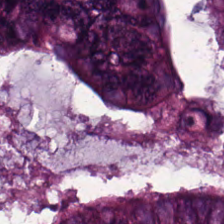The tissue class is colorectal adenocarcinoma epithelium.
